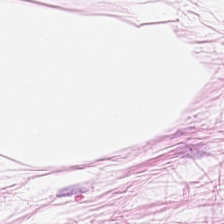0.5 µm/px. Brightfield. H&E. Finding → adipose.
